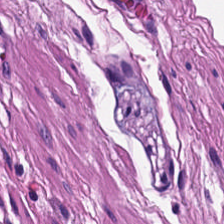H&E.
Tissue: muscularis.
